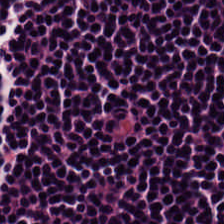0.5 µm per pixel · hematoxylin-and-eosin stained section — Q: What is shown here?
A: The field shows lymphocytic infiltrate.
